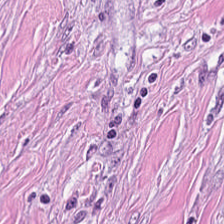H&E-stained tissue section. Q: What is shown here?
A: This is tumor stroma.
